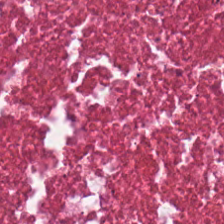Classification = debris.
